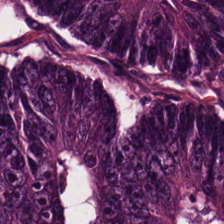H&E-stained tissue section. Brightfield. 224×224 pixel tile — Impression — tumor epithelium.
